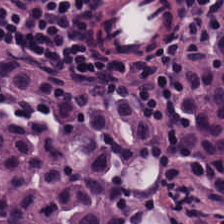224×224 px patch; 0.5 µm per pixel; H&E — Q: Classify this patch.
A: The field shows lymphoid infiltrate.
